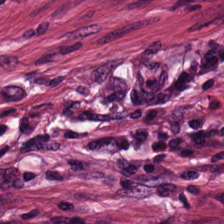0.5 µm per pixel · 224×224 px tile · hematoxylin and eosin. The predominant tissue is cancer-associated stroma.
